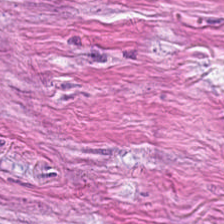H&E-stained tissue section. Tissue — tumor stroma.
